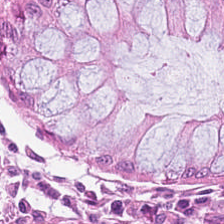H&E.
Tissue class — benign colonic mucosa.
